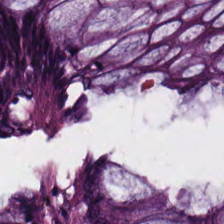224×224 px tile; H&E-stained tissue section. Histology → benign colonic mucosa.
